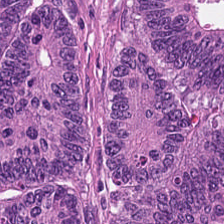H&E-stained tissue section; 0.5 µm/px — Showing colorectal adenocarcinoma.
